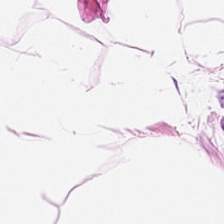20× equivalent magnification · hematoxylin-and-eosin stained section. Tissue type: adipose tissue.
